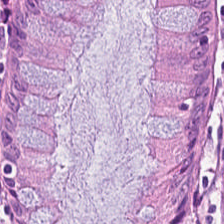Hematoxylin-and-eosin stained section — This patch shows benign colonic mucosa.
